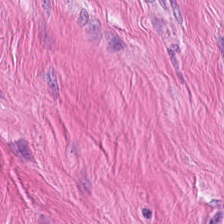Hematoxylin and eosin. Q: Identify the tissue.
A: This is muscularis.
